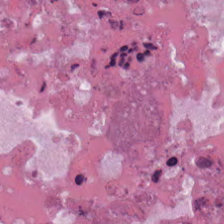H&E-stained tissue section. Brightfield microscopy — Q: Identify the tissue.
A: Cellular debris.
